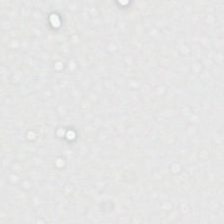H&E-stained tissue section. Field content: empty background.
